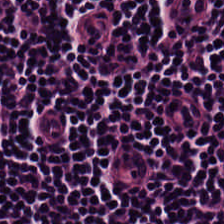Hematoxylin and eosin. This field is lymphoid infiltrate.
